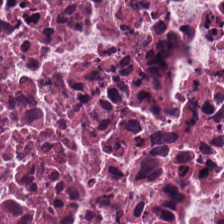FFPE. 224×224 pixel tile. H&E.
Predominant tissue = cellular debris.
